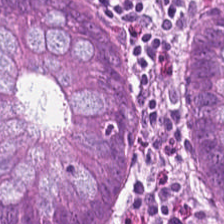{"tissue_type": "non-neoplastic colon mucosa"}
